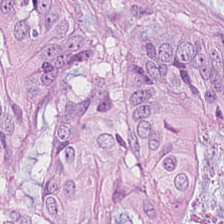The predominant tissue is colorectal adenocarcinoma epithelium.
